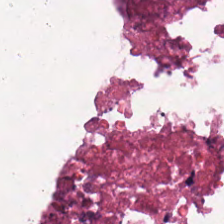Necrotic debris.
